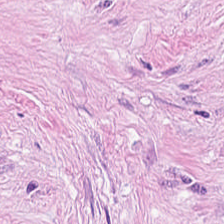Q: Classify this patch.
A: Tumor-associated stroma.
